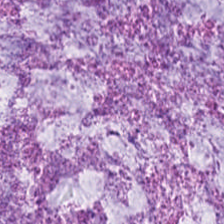Histology — mucin.
